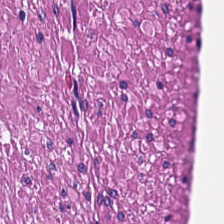Stain: hematoxylin-and-eosin stained section.
Acquisition: whole-slide-image patch.
Tissue: smooth-muscle tissue.
